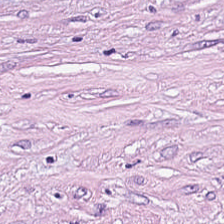H&E stain. Classification: desmoplastic stroma.
